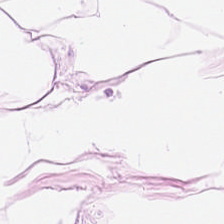Stain: hematoxylin-and-eosin stained section.
Classification: adipocytes.
